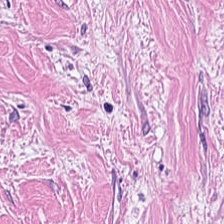Brightfield microscopy. H&E stain. Q: What tissue is shown?
A: Tumor-associated stroma.
